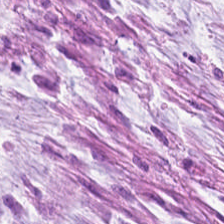Predominantly extracellular mucin.
